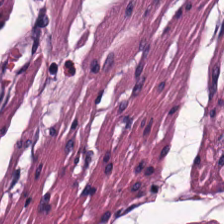Showing smooth muscle.
